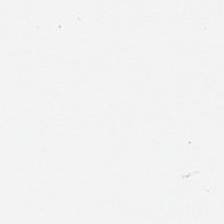Classification = background (no tissue).
